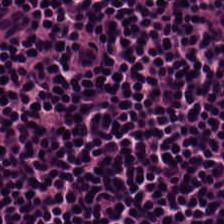Classification: lymphocytes.
